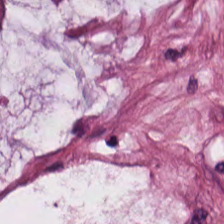FFPE tissue section; hematoxylin and eosin.
Finding — mucin.
